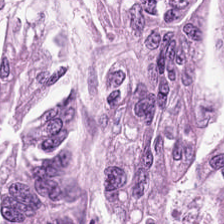224×224 px patch. Hematoxylin and eosin. FFPE. Q: Classify this patch.
A: Malignant epithelium.
